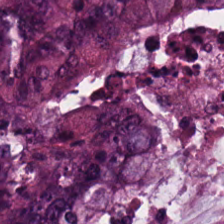224×224 px tile · H&E-stained tissue section — Q: What is shown here?
A: The field shows adenocarcinoma.
